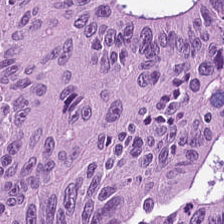H&E.
This field is malignant epithelium.
